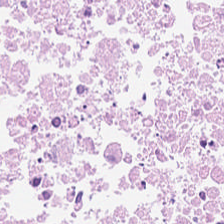0.5 µm per pixel · FFPE · H&E-stained tissue section — The predominant tissue is cellular debris.
